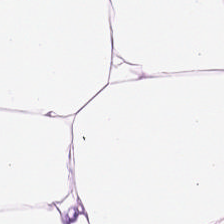Hematoxylin and eosin. The tissue here is adipocytes.
